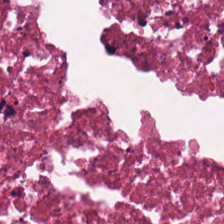Stain: H&E stain.
Tissue: necrotic debris.
